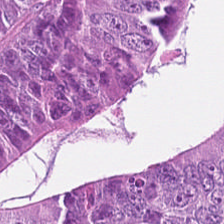Q: What tissue is shown?
A: The field shows malignant epithelium.
